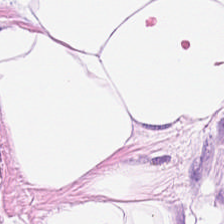This field is adipose.
